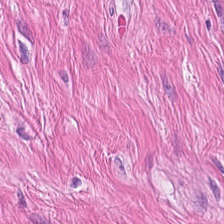H&E — Q: What is shown here?
A: The field shows muscularis.
